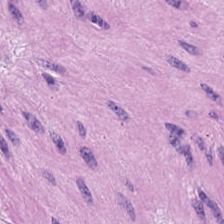FFPE tissue section · 20× equivalent magnification · hematoxylin and eosin.
Tissue = smooth muscle.
